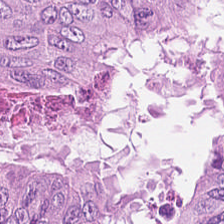0.5 microns per pixel. H&E-stained tissue section. 224×224 px patch.
Impression → colorectal adenocarcinoma epithelium.
